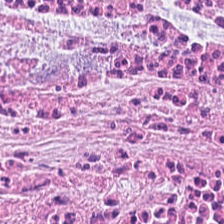Tumor-associated stroma.
